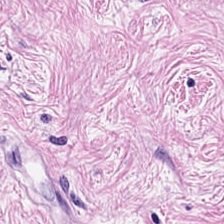Hematoxylin-and-eosin stained section. The predominant tissue is tumor-associated stroma.
